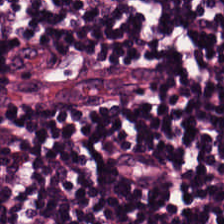Whole-slide-image patch; H&E-stained tissue section; 224×224 px patch.
Predominant tissue = lymphocytes.
